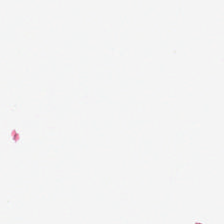Brightfield; hematoxylin-and-eosin stained section; 224×224 px tile — Field content — empty background.
